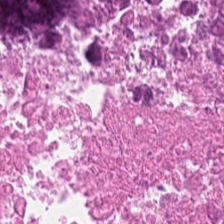This field is cellular debris.
